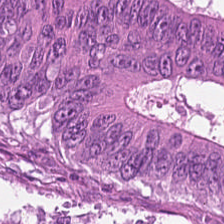H&E stain — The predominant tissue is colorectal adenocarcinoma.
